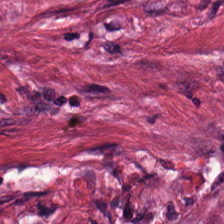Hematoxylin-and-eosin stained section. 224×224 px tile. The tissue here is tumor stroma.
